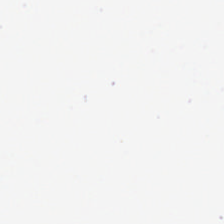Content: empty background.
